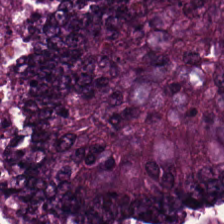H&E-stained tissue section. This field is malignant epithelium.
